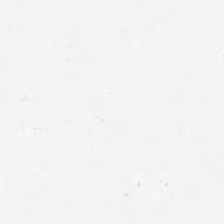Hematoxylin and eosin — No tissue present; background only.
